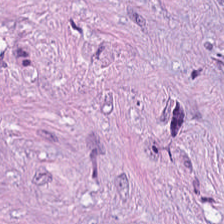Stain: H&E.
Acquisition: brightfield microscopy.
Resolution: 0.5 µm/px.
Classification: tumor stroma.
